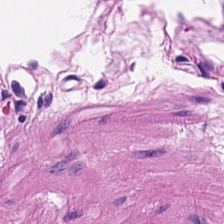H&E; 0.5 µm/px.
This patch shows smooth-muscle tissue.
